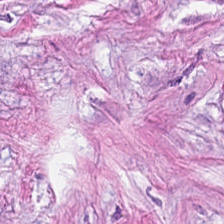Stain: hematoxylin and eosin.
Tissue type: tumor stroma.
